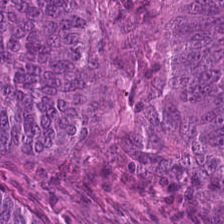Stain: hematoxylin-and-eosin stained section.
Tissue class: colorectal adenocarcinoma epithelium.
